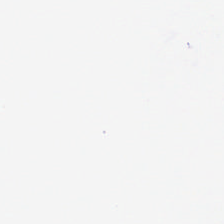Finding — empty background.
